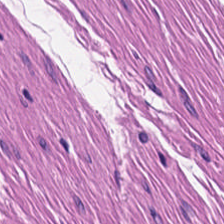Predominantly smooth-muscle tissue.
